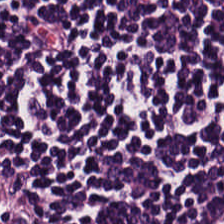Stain: H&E-stained tissue section.
Tissue class: lymphocytic infiltrate.
